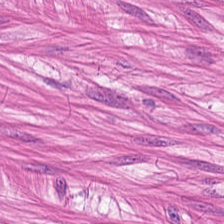Hematoxylin and eosin. This field is smooth-muscle tissue.
